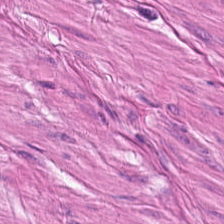Predominant tissue — smooth-muscle tissue.
